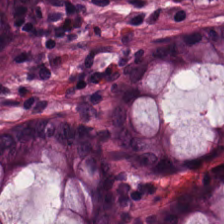Stain: H&E-stained tissue section.
Predominant tissue: normal colonic mucosa.
